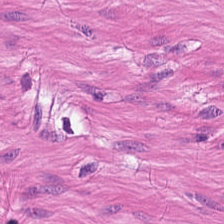H&E-stained tissue section · formalin-fixed paraffin-embedded section.
Finding — muscularis.
